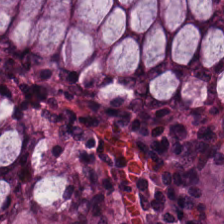H&E-stained tissue section.
Predominantly non-neoplastic colon mucosa.
